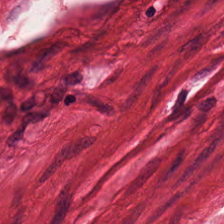Q: Identify the tissue.
A: The field shows smooth muscle.
